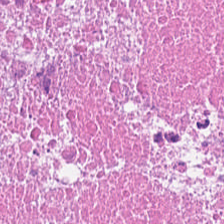{"tissue_type": "debris"}
